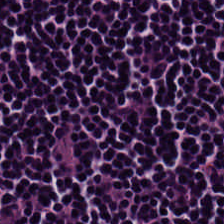Hematoxylin and eosin.
Tissue = lymphocytic infiltrate.
